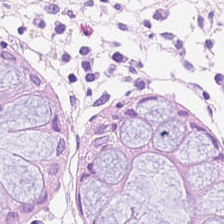Showing non-neoplastic colon mucosa.
